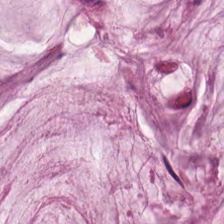Stain: hematoxylin and eosin.
Predominant tissue: mucin.
